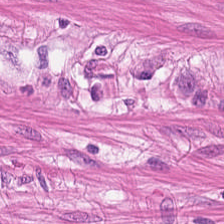FFPE tissue section · H&E-stained tissue section. Q: Classify this patch.
A: Muscularis.
